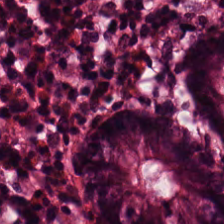H&E.
Predominantly benign colonic mucosa.
